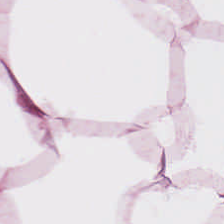Hematoxylin and eosin; WSI patch. Tissue class = adipose.
